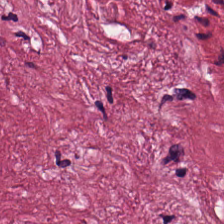224×224 px tile. Hematoxylin and eosin. WSI patch — The tissue here is cancer-associated stroma.
